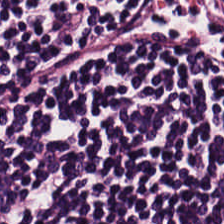FFPE; hematoxylin-and-eosin stained section. Predominantly lymphoid infiltrate.
